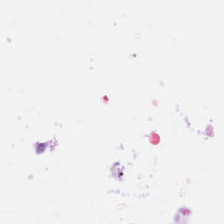H&E stain.
This patch shows empty background.
